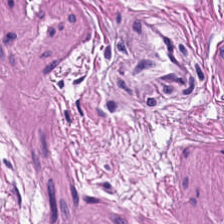Hematoxylin-and-eosin stained section.
This patch shows smooth muscle.
